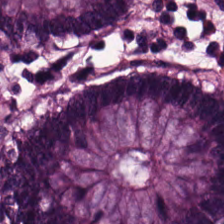Tissue: non-neoplastic colon mucosa.
